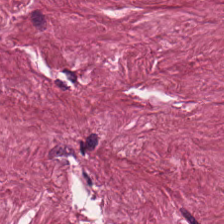{"tissue_type": "desmoplastic stroma"}
